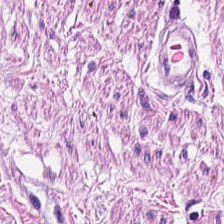H&E-stained tissue section — Histology → muscularis.
